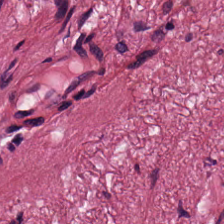H&E stain. Tissue class = tumor stroma.
